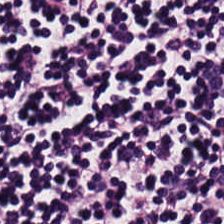FFPE. 224×224 pixel tile. H&E.
Tissue type = lymphocytes.
